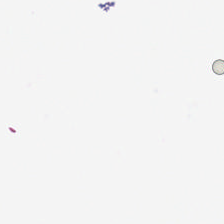Background — no tissue in this field.
